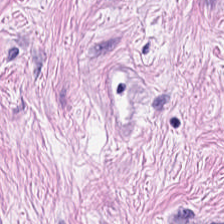Hematoxylin-and-eosin stained section. This patch shows tumor-associated stroma.
